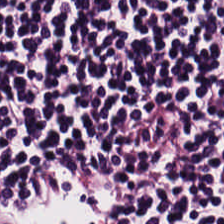224×224 pixel tile; H&E-stained tissue section.
Q: What is shown here?
A: Lymphocytes.
